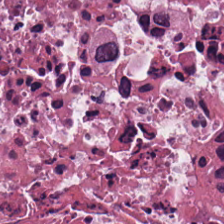Tissue class — debris.
